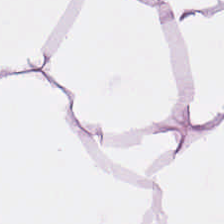Q: What type of tissue is this?
A: This is adipose.
